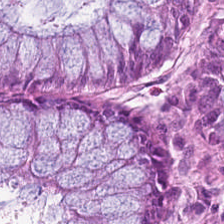Predominant tissue — normal colonic mucosa.
